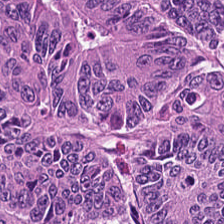Hematoxylin-and-eosin stained section · 224×224 px tile · 0.5 µm per pixel.
The tissue here is colorectal adenocarcinoma.
